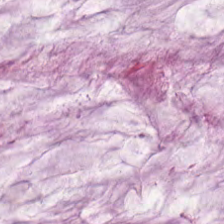H&E · WSI patch · formalin-fixed paraffin-embedded section — Predominantly extracellular mucin.
